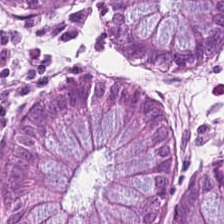H&E stain. 224×224 pixel tile — Q: What does this patch show?
A: This is non-neoplastic colon mucosa.
